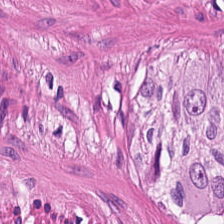Hematoxylin and eosin.
Smooth-muscle tissue.
